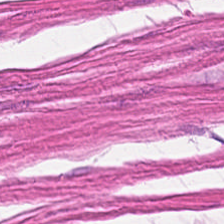H&E stain — The tissue here is muscularis.
